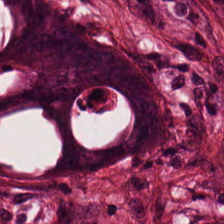Stain: hematoxylin-and-eosin stained section.
Tissue: malignant epithelium.
